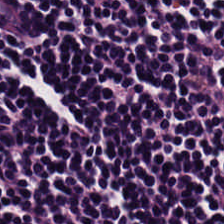Hematoxylin-and-eosin stained section. Tissue class: lymphocytic infiltrate.
